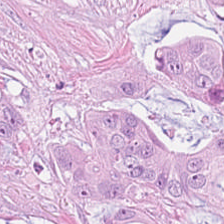Hematoxylin-and-eosin stained section — Showing malignant epithelium.
